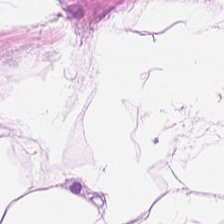WSI patch. H&E stain — Q: What does this patch show?
A: It is adipocytes.
